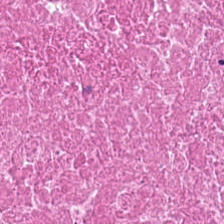224×224 px tile; hematoxylin-and-eosin stained section; FFPE tissue section — Showing necrotic debris.
